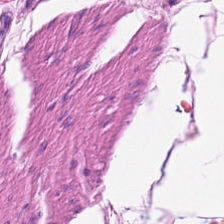Tissue type: smooth muscle.
